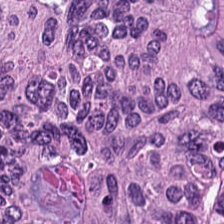H&E stain. Finding → colorectal adenocarcinoma.
